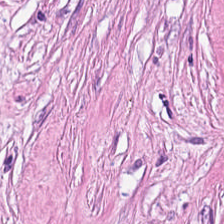Hematoxylin-and-eosin stained section. The tissue class is desmoplastic stroma.
